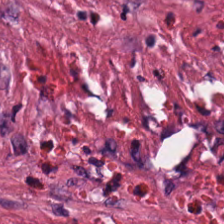Tissue — cancer-associated stroma.
